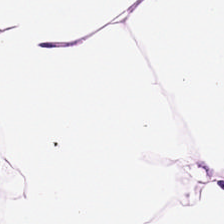Brightfield. H&E — Fat tissue.
